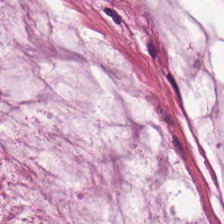H&E. The tissue class is mucin.
